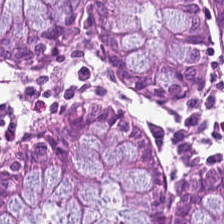Hematoxylin and eosin; FFPE tissue section. Q: What is shown in this field?
A: The field shows normal colon mucosa.
